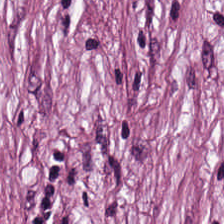Showing desmoplastic stroma.
